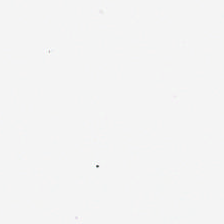H&E · FFPE tissue section. Content = background.
